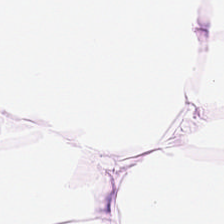H&E; 224×224 px patch. The tissue class is adipose.
